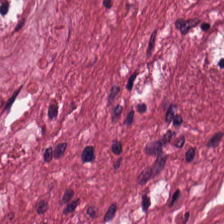224×224 px tile · H&E.
Q: What is the predominant tissue type?
A: Tumor stroma.
